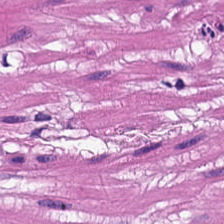H&E.
Classification = smooth muscle.
